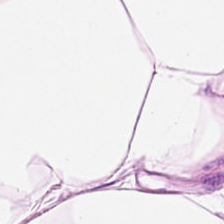Hematoxylin and eosin.
Tissue class = adipose tissue.
